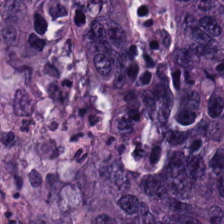H&E stain. 224×224 px tile.
Adenocarcinoma.
